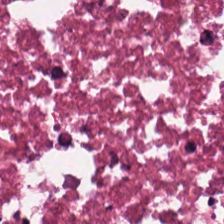H&E-stained tissue section — {"tissue_type": "cellular debris"}
